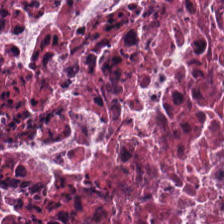Hematoxylin-and-eosin stained section.
This field is necrotic debris.
